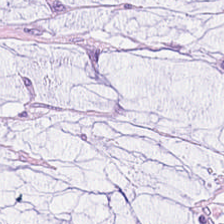Finding → mucus.
